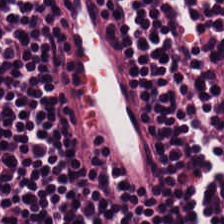Stain: hematoxylin-and-eosin stained section.
Tissue class: lymphocyte aggregate.
